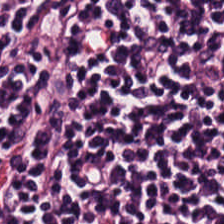Brightfield microscopy · H&E-stained tissue section.
Showing lymphoid infiltrate.
